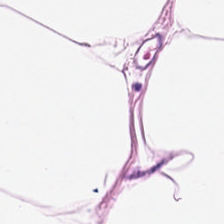0.5 µm per pixel. H&E stain.
This field is adipose tissue.
